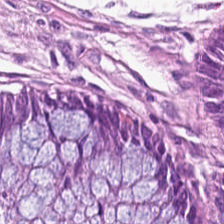H&E patch showing non-neoplastic colon mucosa.
